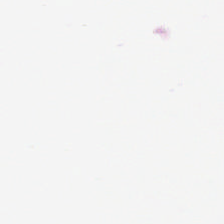FFPE tissue section. H&E. {"content": "no tissue"}
